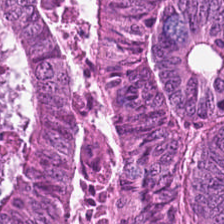H&E-stained tissue section showing colorectal adenocarcinoma epithelium.
